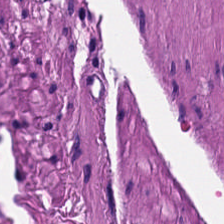Stain: H&E.
Tissue type: muscularis.
